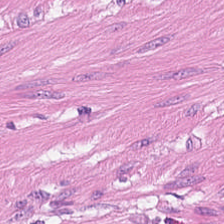Classification: muscularis.
